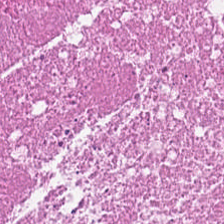Hematoxylin-and-eosin stained section.
Showing necrotic debris.
